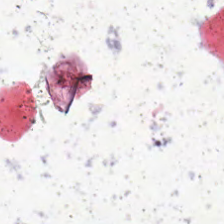Q: What is shown here?
A: The field shows background.
